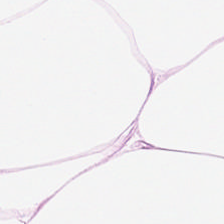Hematoxylin-and-eosin stained section — The tissue class is adipose.
